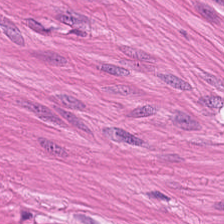This field is muscularis.
